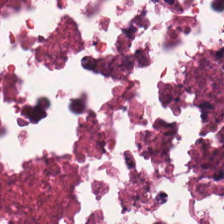Stain: H&E stain.
Acquisition: brightfield microscopy.
Preparation: formalin-fixed paraffin-embedded section.
Tissue class: necrotic debris.
